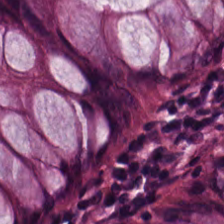FFPE tissue section · 20× equivalent magnification · hematoxylin and eosin. This field is non-neoplastic colon mucosa.
